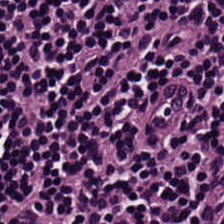224×224 pixel tile · hematoxylin-and-eosin stained section.
The tissue type is lymphocytes.
